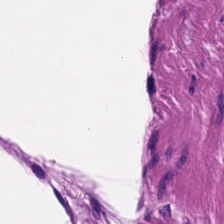WSI patch. 0.5 microns per pixel. Hematoxylin-and-eosin stained section.
This field is smooth muscle.
